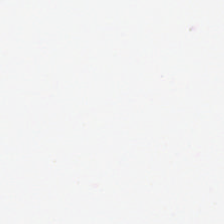Content: background.
